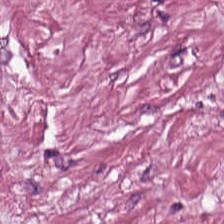Hematoxylin and eosin; brightfield microscopy — This field is desmoplastic stroma.
